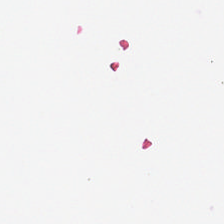{"content": "no tissue"}
